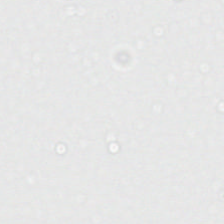Histology → background (no tissue).
